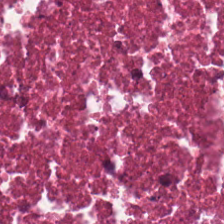Classification = debris.
